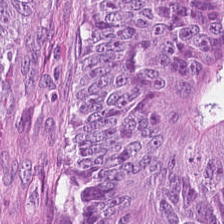H&E-stained tissue section; FFPE tissue section — Predominant tissue — adenocarcinoma.
